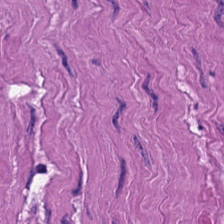H&E stain.
Q: What is shown here?
A: It is smooth muscle.
